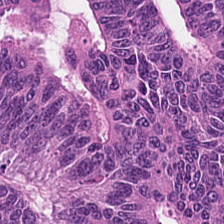Impression → colorectal adenocarcinoma epithelium.
